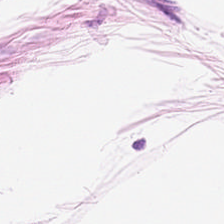Hematoxylin-and-eosin section: fat tissue.
